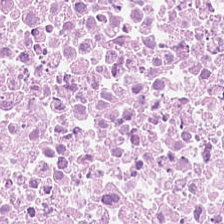Stain: H&E-stained tissue section.
Tissue: necrotic debris.
